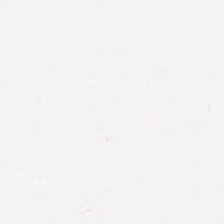H&E stain. {"content": "no tissue"}
